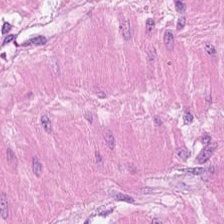Predominantly smooth-muscle tissue.
